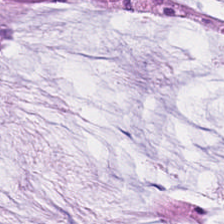Hematoxylin-and-eosin stained section.
Extracellular mucin.
